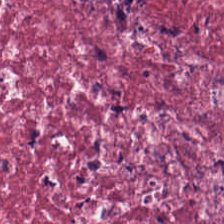H&E stain.
Tumor-associated stroma.
